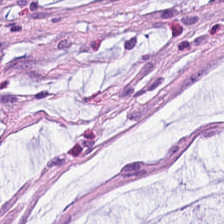Hematoxylin-and-eosin stained section. 20× equivalent magnification. Q: What tissue is shown?
A: It is mucus.
